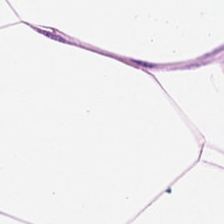224×224 px tile; hematoxylin and eosin; FFPE tissue section. Predominantly fat tissue.
